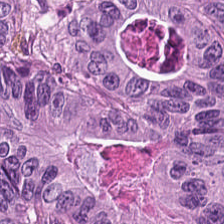Hematoxylin-and-eosin stained section.
The tissue here is adenocarcinoma.
